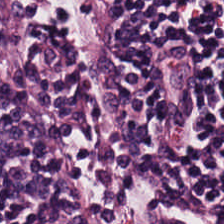Hematoxylin and eosin. Whole-slide-image patch — Lymphocytic infiltrate.
